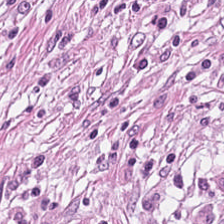Stain: H&E stain.
Preparation: FFPE tissue section.
Tissue class: desmoplastic stroma.
